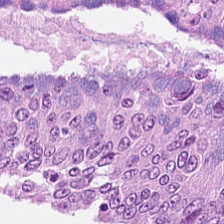Hematoxylin and eosin. Showing adenocarcinoma.
